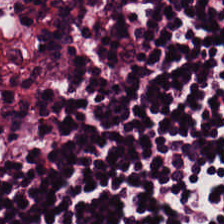Stain: H&E-stained tissue section.
Tissue type: lymphocyte aggregate.
